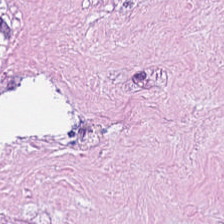Formalin-fixed paraffin-embedded section · H&E-stained tissue section · 0.5 µm/px — This field is cellular debris.
